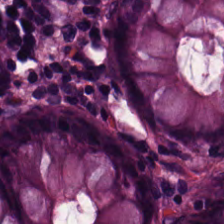H&E.
{"tissue_type": "normal colonic mucosa"}
